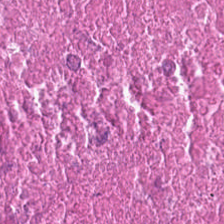0.5 µm per pixel; WSI patch; H&E. The tissue is cellular debris.
